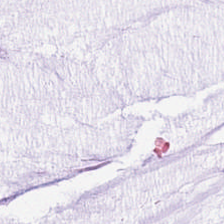FFPE tissue section · hematoxylin and eosin. Histology — mucus.
